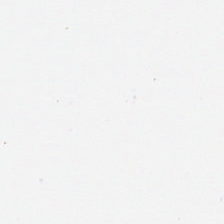H&E-stained tissue section. This patch shows background.
